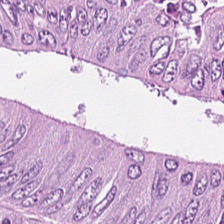Hematoxylin-and-eosin stained section.
Predominant tissue — colorectal adenocarcinoma epithelium.
